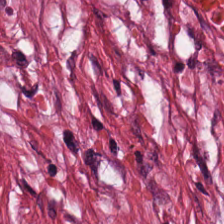H&E · FFPE tissue section — Tissue class — tumor stroma.
